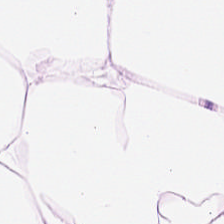H&E stain. FFPE tissue section. This patch shows adipose.
